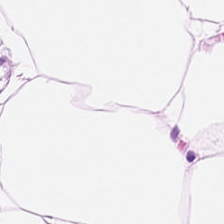Brightfield · formalin-fixed paraffin-embedded section · H&E stain — {"tissue_type": "fat tissue"}
